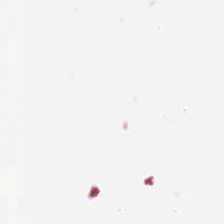FFPE tissue section. H&E — Histology → background (no tissue).
